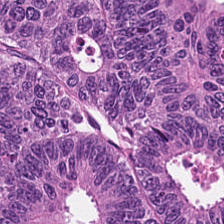H&E-stained tissue section.
Q: Identify the tissue.
A: The field shows adenocarcinoma.
